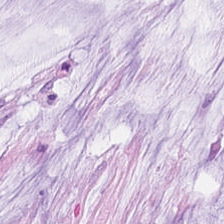H&E-stained tissue section; WSI patch.
Showing extracellular mucin.
